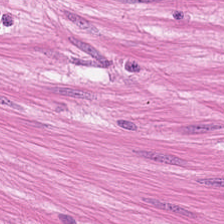H&E-stained tissue section; FFPE; 224×224 pixel tile. Finding → smooth-muscle tissue.
